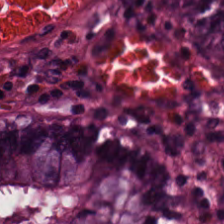H&E stain — This patch shows normal colonic mucosa.
